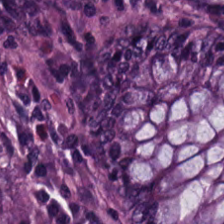The predominant tissue is non-neoplastic colon mucosa.
